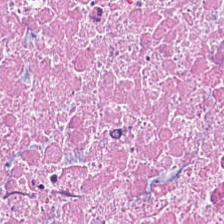20× equivalent magnification · 224×224 px patch · hematoxylin-and-eosin stained section — The predominant tissue is necrotic debris.
